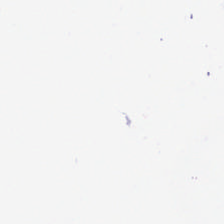Formalin-fixed paraffin-embedded section · H&E-stained tissue section. Empty field — background (no tissue).
